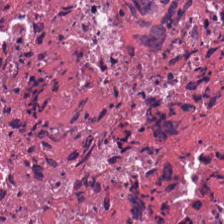Stain: hematoxylin-and-eosin stained section.
Tissue: necrotic debris.
